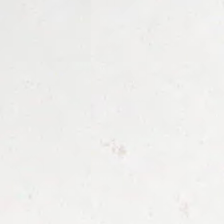H&E. Q: What is shown in this field?
A: The field shows background (no tissue).
